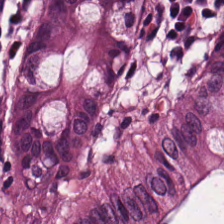H&E-stained tissue section.
This field is non-neoplastic colon mucosa.
